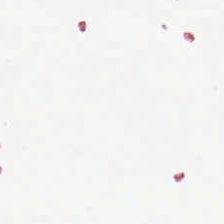Impression — no tissue.
